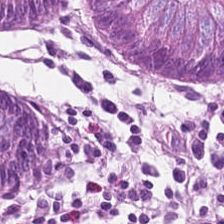H&E-stained tissue section. Predominantly normal colon mucosa.
